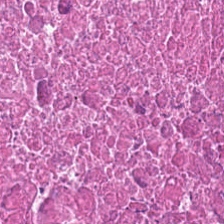Hematoxylin-and-eosin stained section · brightfield microscopy. Tissue class: debris.
